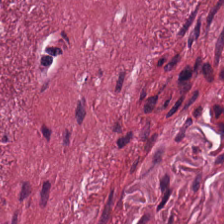{"tissue_type": "tumor stroma"}
